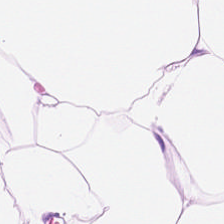Brightfield. H&E-stained tissue section. Formalin-fixed paraffin-embedded section.
This patch shows fat tissue.
